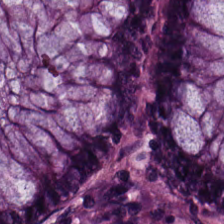Hematoxylin-and-eosin stained section; 0.5 µm/px; brightfield microscopy — The tissue here is benign colonic mucosa.
